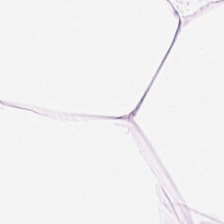H&E. This field is adipose.
